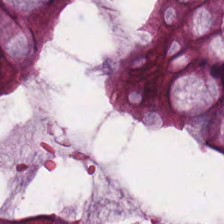224×224 px tile; H&E-stained tissue section — Q: Classify this patch.
A: This is normal colon mucosa.
